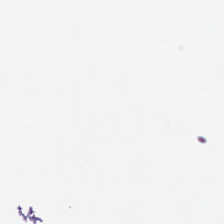H&E stain.
Classification: empty background.
